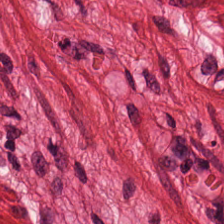Hematoxylin and eosin. Tissue class: smooth muscle.
